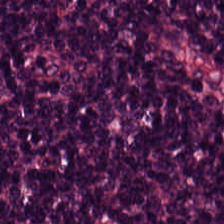Hematoxylin and eosin · 224×224 pixel tile · formalin-fixed paraffin-embedded section.
Tissue = lymphocytic infiltrate.
